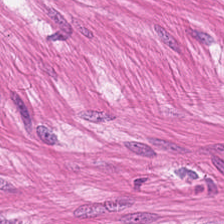Predominantly smooth muscle.
